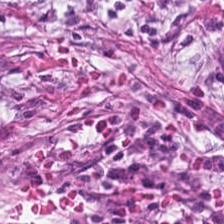Hematoxylin-and-eosin stained section.
Showing cancer-associated stroma.
